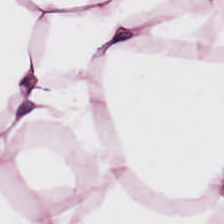0.5 µm per pixel; H&E stain; FFPE tissue section — Showing fat tissue.
